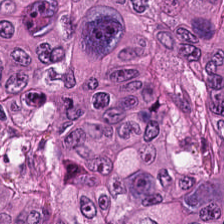Hematoxylin and eosin; 0.5 µm per pixel — The tissue here is malignant epithelium.
